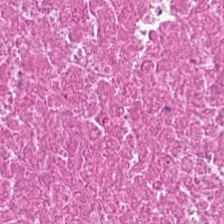20× equivalent magnification · formalin-fixed paraffin-embedded section · hematoxylin-and-eosin stained section. Q: What does this patch show?
A: The field shows necrotic debris.
